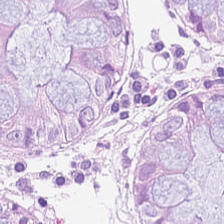Hematoxylin and eosin. This patch shows non-neoplastic colon mucosa.
